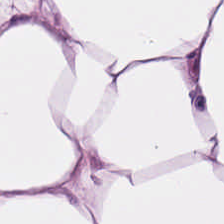H&E stain.
Q: What type of tissue is this?
A: It is fat tissue.
